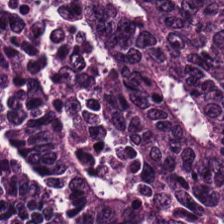H&E. Showing tumor epithelium.
